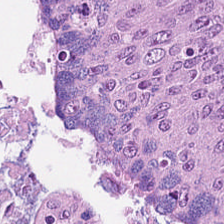Q: Classify this patch.
A: Colorectal adenocarcinoma.
